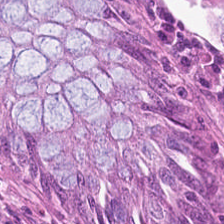Hematoxylin and eosin. Tissue class: normal colon mucosa.
